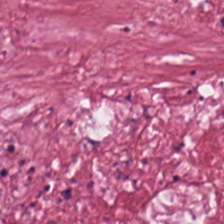Hematoxylin and eosin; formalin-fixed paraffin-embedded section.
Histology — tumor-associated stroma.
